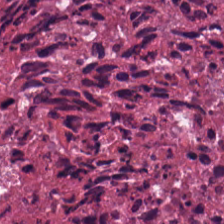H&E-stained tissue section · 224×224 pixel tile. Tissue type — necrotic debris.
